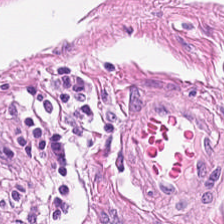Showing smooth-muscle tissue.
